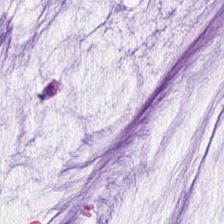H&E. Brightfield microscopy. 224×224 px patch — The tissue here is mucin.
